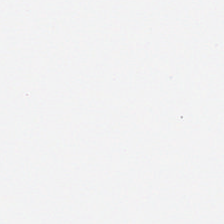{"content": "no tissue"}
